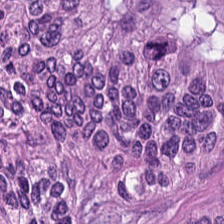Hematoxylin and eosin. The predominant tissue is adenocarcinoma.
